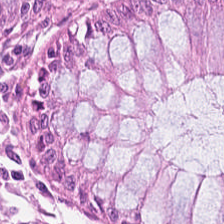Hematoxylin-and-eosin section: non-neoplastic colon mucosa.
